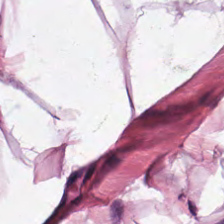Hematoxylin and eosin.
The tissue type is adipocytes.
